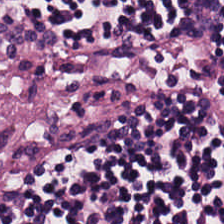The classification is lymphocytic infiltrate.
